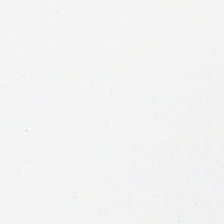Classification — background (no tissue).
